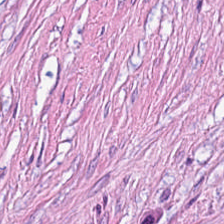H&E stain — Histology → desmoplastic stroma.
